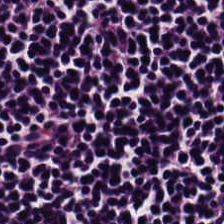Stain: hematoxylin-and-eosin stained section.
Tissue type: lymphocyte aggregate.
